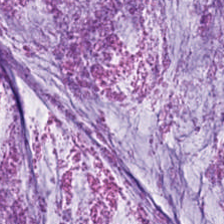Stain: H&E stain.
Predominant tissue: extracellular mucin.
